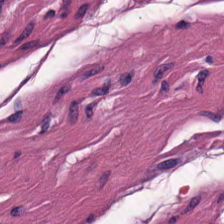H&E-stained tissue section. {"tissue_type": "smooth-muscle tissue"}
